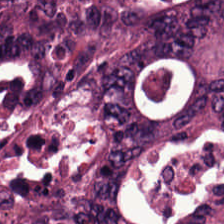Stain: H&E.
Tissue type: colorectal adenocarcinoma.
